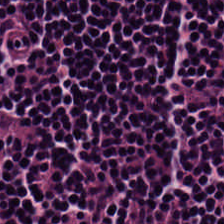Hematoxylin-and-eosin stained section. {"tissue_type": "lymphoid infiltrate"}
